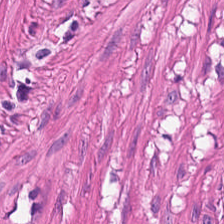H&E-stained tissue section — Tissue = muscularis.
